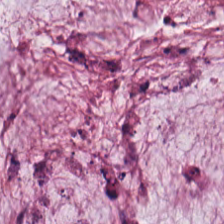Stain: H&E-stained tissue section.
Acquisition: brightfield microscopy.
Resolution: 0.5 µm per pixel.
Tissue: extracellular mucin.
